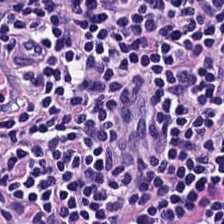Finding → lymphocyte aggregate.
